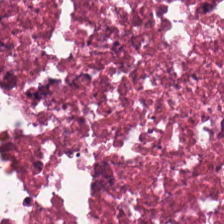H&E-stained tissue section.
The tissue here is debris.
